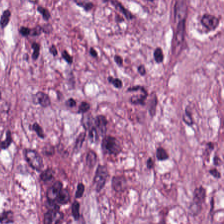Hematoxylin and eosin.
Finding — cancer-associated stroma.
